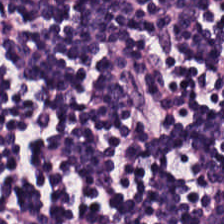H&E-stained tissue section. The tissue class is lymphocytic infiltrate.
